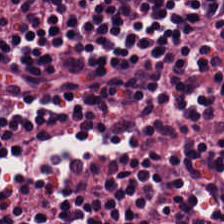Hematoxylin and eosin · whole-slide-image patch — Predominantly lymphocytic infiltrate.
